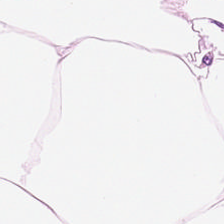H&E. Histology → adipose.
